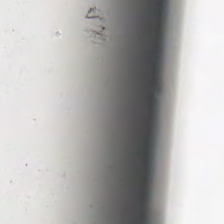Formalin-fixed paraffin-embedded section. WSI patch. H&E-stained tissue section.
Background (no tissue).
